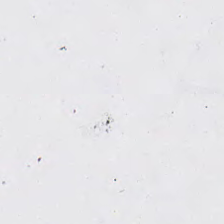224×224 pixel tile. H&E. The content is empty background.
